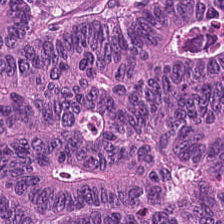FFPE tissue section · 224×224 px patch · hematoxylin-and-eosin stained section — The predominant tissue is adenocarcinoma.
